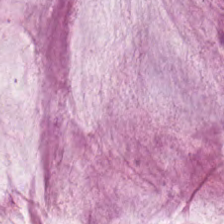H&E-stained tissue section. {"tissue_type": "extracellular mucin"}
